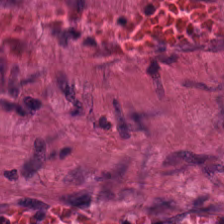H&E.
Tissue type — muscularis.
